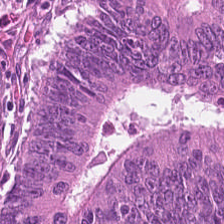H&E-stained tissue section. Colorectal adenocarcinoma.
